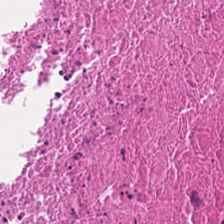224×224 pixel tile · WSI patch · H&E-stained tissue section. {"tissue_type": "debris"}
